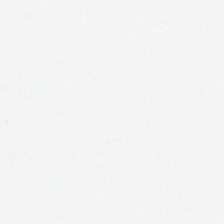Impression → background (no tissue).
